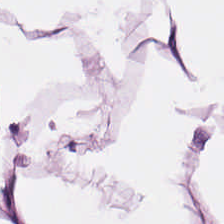H&E-stained tissue section. FFPE. Histology — adipocytes.
